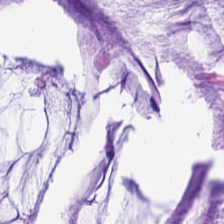Stain: hematoxylin-and-eosin stained section.
Tile size: 224×224 pixel tile.
Tissue class: mucus.
